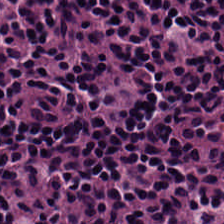Stain: H&E-stained tissue section.
Preparation: FFPE tissue section.
Tissue: lymphocytes.
